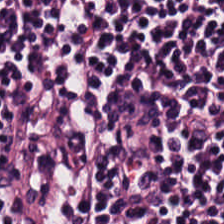Hematoxylin-and-eosin stained section.
The predominant tissue is lymphocytic infiltrate.
